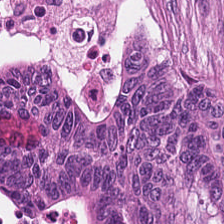Stain: hematoxylin-and-eosin stained section.
Classification: malignant epithelium.
